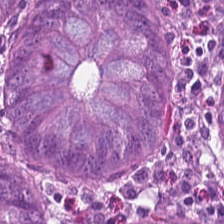H&E stain. 0.5 µm per pixel — Q: What is the predominant tissue type?
A: It is normal colonic mucosa.
